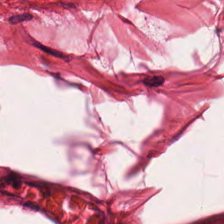Finding — muscularis.
